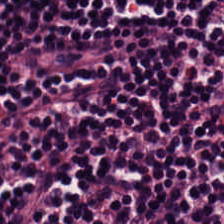H&E-stained tissue section.
The predominant tissue is lymphocyte aggregate.
